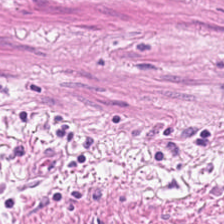The tissue here is muscularis.
